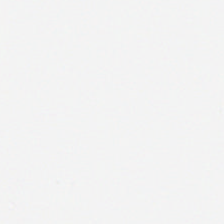H&E stain. Whole-slide-image patch. Content = no tissue.
